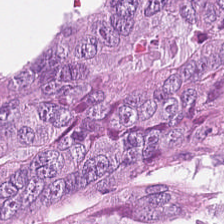H&E — adenocarcinoma.
